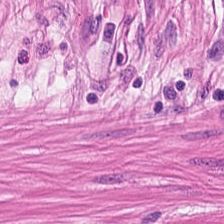H&E-stained tissue section · 0.5 µm/px. Impression → muscularis.
